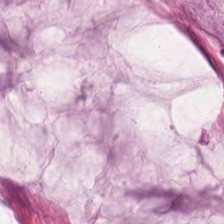H&E stain.
Predominantly mucin.
